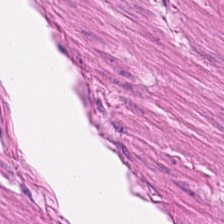224×224 pixel tile · hematoxylin-and-eosin stained section.
Tissue type: smooth-muscle tissue.
